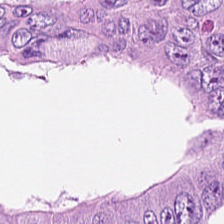FFPE; 224×224 px patch; hematoxylin-and-eosin stained section — Histology — colorectal adenocarcinoma.
